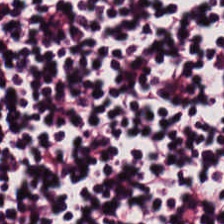Formalin-fixed paraffin-embedded section; hematoxylin and eosin; 0.5 µm/px. This field is lymphocytes.
